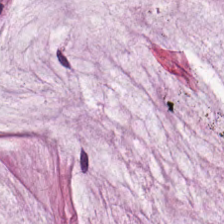Q: What type of tissue is this?
A: This is mucus.
